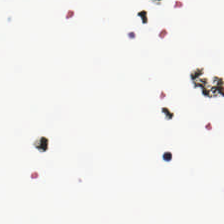H&E — Content = no tissue.
